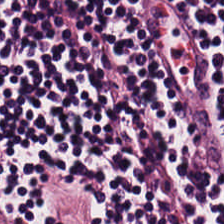H&E; 224×224 pixel tile.
Lymphoid infiltrate.
